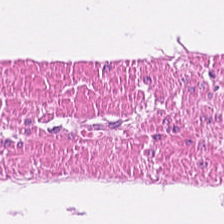Hematoxylin-and-eosin stained section — This patch shows smooth-muscle tissue.
